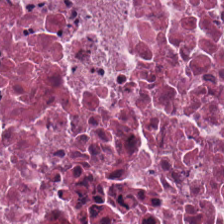Predominant tissue = necrotic debris.
